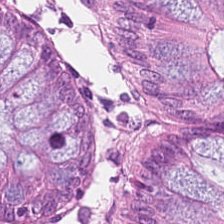Stain: H&E.
Tile size: 224×224 pixel tile.
Preparation: FFPE tissue section.
Predominant tissue: benign colonic mucosa.
